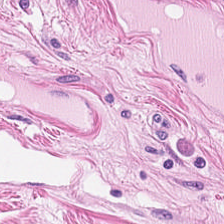224×224 px patch. H&E-stained tissue section. Q: What tissue type is shown here?
A: Smooth muscle.
